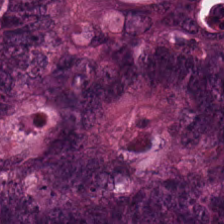Stain: H&E stain.
Tissue class: colorectal adenocarcinoma.
